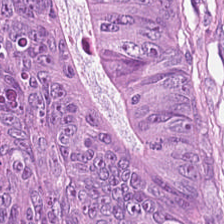Brightfield · H&E-stained tissue section.
Q: What is shown here?
A: Adenocarcinoma.
